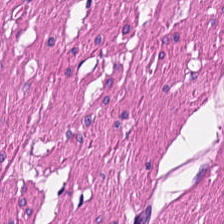H&E stain — Tissue: smooth muscle.
